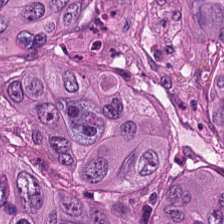0.5 microns per pixel. Hematoxylin-and-eosin stained section. Formalin-fixed paraffin-embedded section — Showing colorectal adenocarcinoma.
